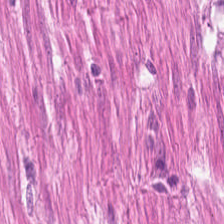H&E stain.
Predominantly smooth muscle.
